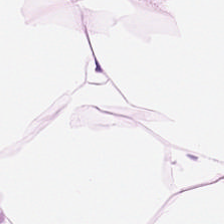Stain: H&E stain.
Tile size: 224×224 pixel tile.
Preparation: FFPE tissue section.
Tissue: fat tissue.
